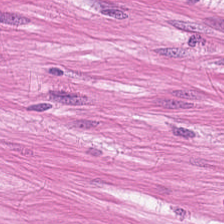Stain: H&E-stained tissue section.
Predominant tissue: muscularis.
